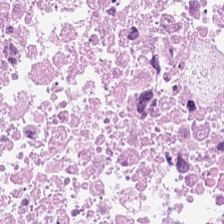Hematoxylin-and-eosin section: cellular debris.
